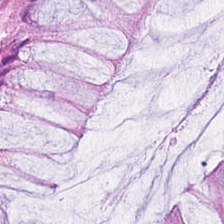0.5 µm per pixel; H&E-stained tissue section. Predominantly normal colonic mucosa.
